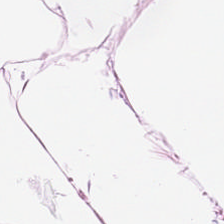Showing adipose tissue.
